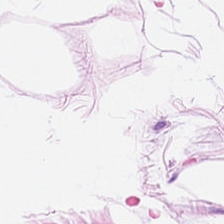Stain: H&E stain.
Tissue type: adipose tissue.
